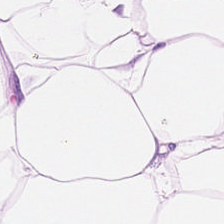{"tissue_type": "adipose tissue"}
